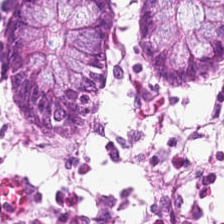Formalin-fixed paraffin-embedded section · H&E.
Predominant tissue = non-neoplastic colon mucosa.
